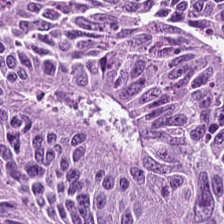0.5 µm per pixel. Hematoxylin-and-eosin stained section.
The tissue class is colorectal adenocarcinoma.
